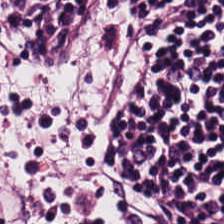Stain: H&E stain.
Tile size: 224×224 pixel tile.
Resolution: 0.5 µm/px.
Tissue: lymphocyte aggregate.
